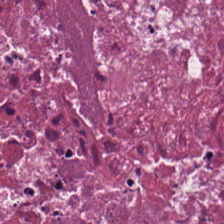Q: What is shown in this field?
A: Debris.
